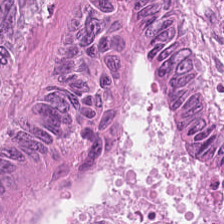H&E-stained tissue section. Formalin-fixed paraffin-embedded section. 0.5 µm/px — Q: Classify this patch.
A: The field shows colorectal adenocarcinoma epithelium.
